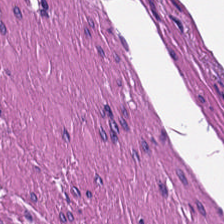Stain: H&E.
Tissue: muscularis.
